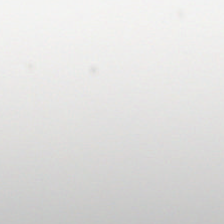Whole-slide-image patch · hematoxylin and eosin — {"content": "background (no tissue)"}
